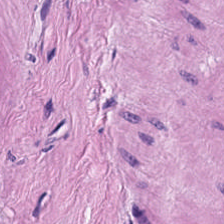Stain: hematoxylin and eosin.
Tissue: smooth-muscle tissue.
